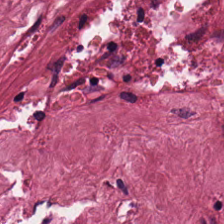H&E stain — This field is tumor-associated stroma.
